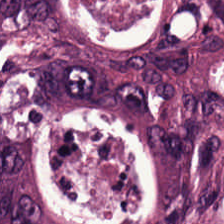Hematoxylin-and-eosin stained section.
The tissue class is colorectal adenocarcinoma.
